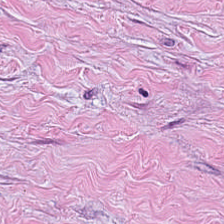Stain: H&E stain.
Predominant tissue: cancer-associated stroma.
